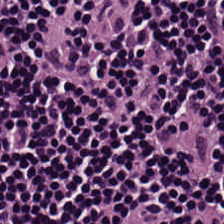Stain: H&E stain.
Tissue type: lymphoid infiltrate.
